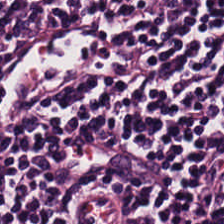Hematoxylin-and-eosin stained section; brightfield — {"tissue_type": "lymphocyte aggregate"}
